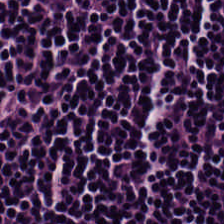H&E-stained tissue section — Tissue type: lymphocyte aggregate.
